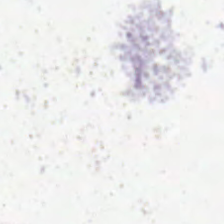Q: What is shown here?
A: The field shows empty background.
